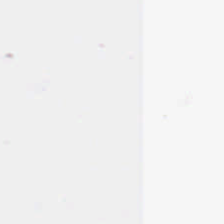Finding → empty background.
